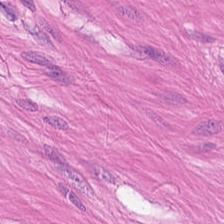224×224 pixel tile. Hematoxylin-and-eosin stained section. Classification — muscularis.
